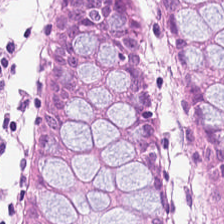Normal colon mucosa.
